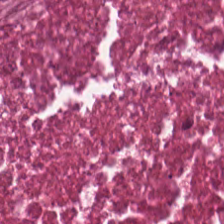H&E; 224×224 pixel tile — {"tissue_type": "debris"}
